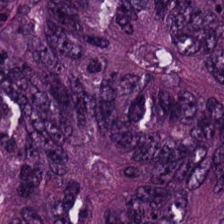Hematoxylin and eosin.
Classification = colorectal adenocarcinoma.
